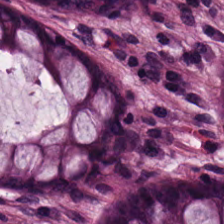Whole-slide-image patch · H&E. Showing normal colon mucosa.
